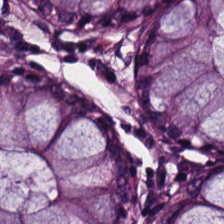H&E — This patch shows normal colonic mucosa.
